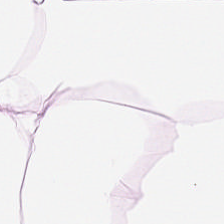Q: What is shown here?
A: Adipocytes.
